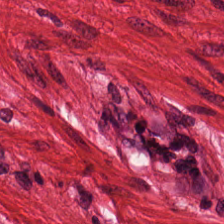Hematoxylin and eosin — {"tissue_type": "smooth muscle"}
